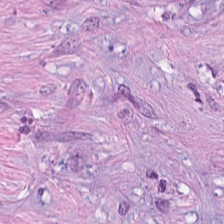H&E stain. Classification — tumor stroma.
